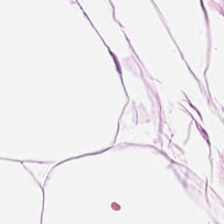Q: What tissue is shown?
A: The field shows adipose.
